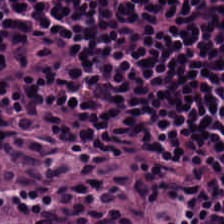H&E-stained tissue section; brightfield — Showing lymphocyte aggregate.
